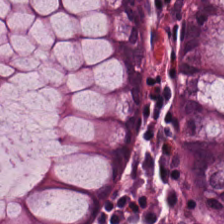FFPE · H&E. This field is normal colonic mucosa.
